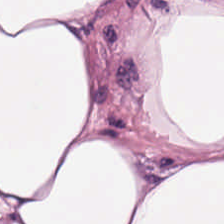224×224 px patch; H&E; formalin-fixed paraffin-embedded section.
Histology → adipose tissue.
